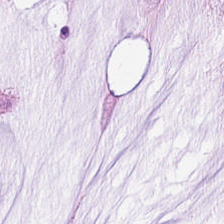H&E stain · formalin-fixed paraffin-embedded section. Tissue class — mucus.
